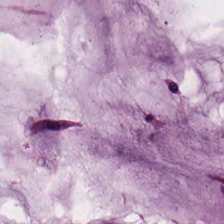H&E stain; 224×224 px patch. Tissue class — extracellular mucin.
